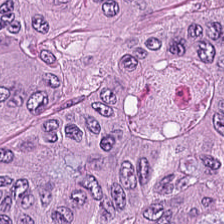224×224 pixel tile; hematoxylin-and-eosin stained section.
Predominant tissue = colorectal adenocarcinoma epithelium.
